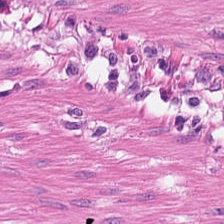Hematoxylin and eosin; 224×224 px patch.
{"tissue_type": "muscularis"}
